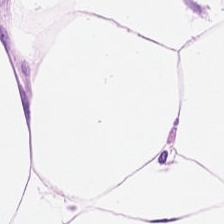Brightfield microscopy. Hematoxylin and eosin. Impression → adipose.
